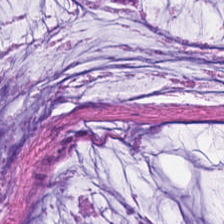Stain: hematoxylin and eosin.
Tissue class: mucus.
